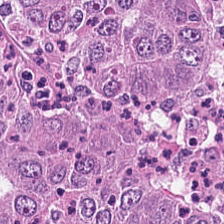H&E — Histology — tumor epithelium.
